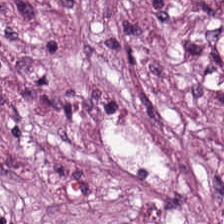Hematoxylin-and-eosin stained section — Finding → tumor stroma.
